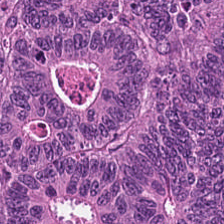224×224 px tile; hematoxylin and eosin. Q: What tissue type is shown here?
A: The field shows colorectal adenocarcinoma epithelium.
